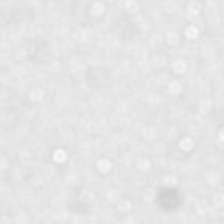Hematoxylin and eosin.
Impression — no tissue.
